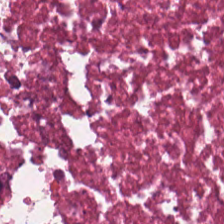0.5 microns per pixel · FFPE tissue section · hematoxylin and eosin — The tissue here is necrotic debris.
